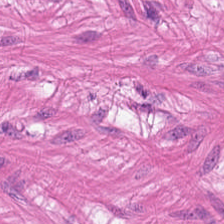Stain: hematoxylin and eosin.
Classification: muscularis.
